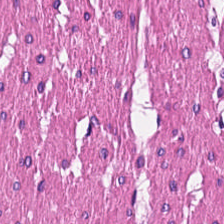H&E-stained tissue section; WSI patch — {"tissue_type": "smooth muscle"}
